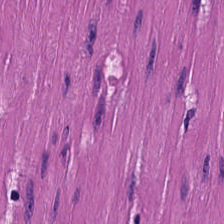This field is smooth muscle.
